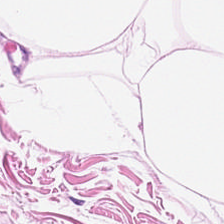H&E stain. The tissue here is adipocytes.
